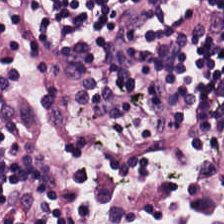224×224 px tile · H&E stain · FFPE.
Showing lymphoid infiltrate.
